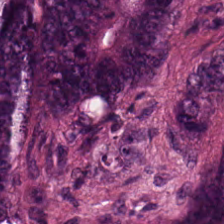Hematoxylin and eosin. WSI patch. 224×224 px patch.
Q: What is shown here?
A: The field shows adenocarcinoma.
